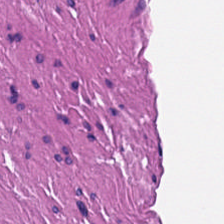H&E. {"tissue_type": "smooth-muscle tissue"}
